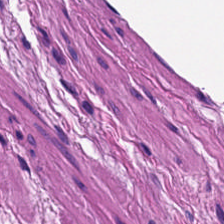Smooth-muscle tissue.
